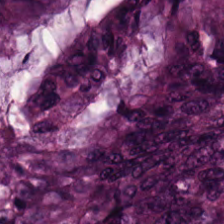WSI patch · hematoxylin and eosin.
Q: What tissue type is shown here?
A: This is tumor epithelium.
